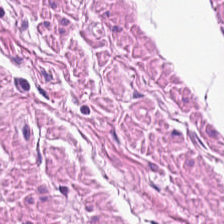Muscularis.
